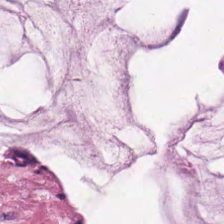Q: What tissue type is shown here?
A: The field shows mucin.
